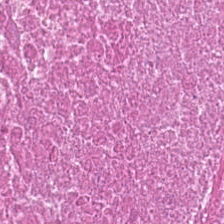Q: What is the predominant tissue type?
A: Debris.
